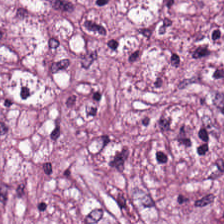0.5 µm/px · hematoxylin and eosin.
This patch shows tumor-associated stroma.
